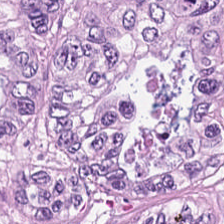H&E · 0.5 microns per pixel. Q: What type of tissue is this?
A: Adenocarcinoma.
